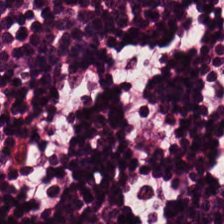Stain: H&E stain.
Resolution: 20× equivalent magnification.
Acquisition: brightfield.
Predominant tissue: lymphocytic infiltrate.
